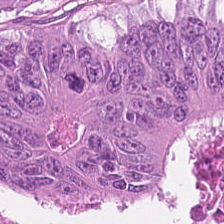H&E stain; 0.5 µm per pixel; FFPE tissue section — This patch shows tumor epithelium.
